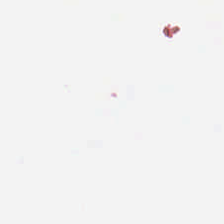Stain: H&E-stained tissue section.
Classification: no tissue.
